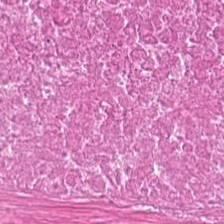Hematoxylin-and-eosin stained section. The tissue here is necrotic debris.
